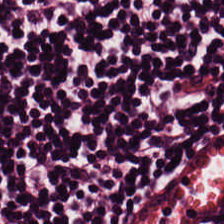Q: What tissue is shown?
A: The field shows lymphoid infiltrate.
